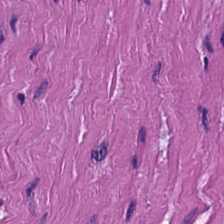H&E-stained tissue section.
Q: What is the predominant tissue type?
A: It is muscularis.
